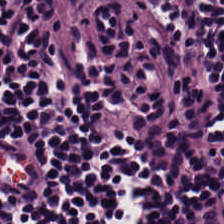Q: Identify the tissue.
A: This is lymphocytic infiltrate.
